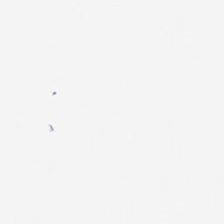Q: What is shown here?
A: Background (no tissue).
